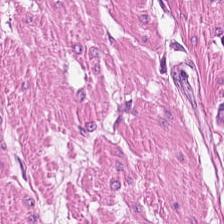Q: What tissue type is shown here?
A: Smooth-muscle tissue.
